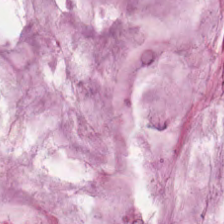0.5 µm/px. Hematoxylin and eosin. Tissue class — mucin.
